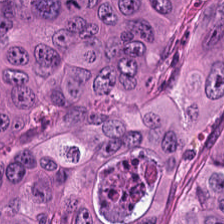Hematoxylin and eosin — Q: What is the predominant tissue type?
A: This is colorectal adenocarcinoma epithelium.
